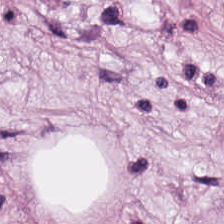Hematoxylin and eosin. This field is adipose tissue.
